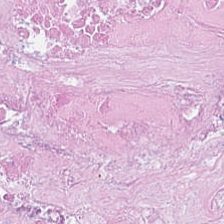The tissue here is necrotic debris.
